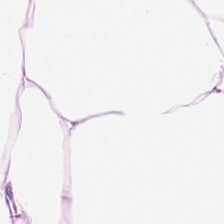Adipose.
